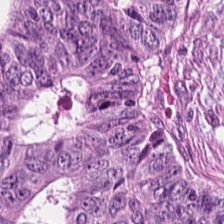Stain: H&E.
Acquisition: brightfield microscopy.
Tissue: colorectal adenocarcinoma epithelium.
